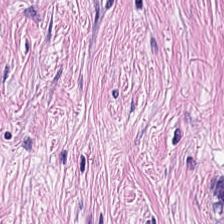FFPE tissue section. Hematoxylin and eosin. 0.5 µm/px. Predominantly tumor stroma.
